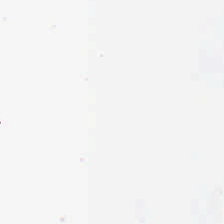Q: Classify this patch.
A: It is background (no tissue).
